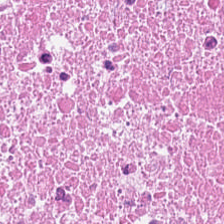{"tissue_type": "debris"}
